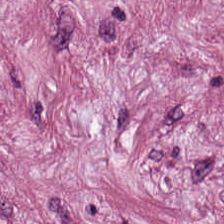H&E — The tissue here is tumor-associated stroma.
